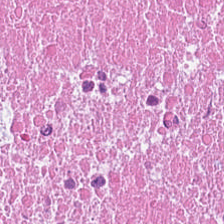H&E-stained tissue section. The tissue class is debris.
